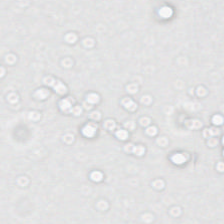H&E.
This patch shows background (no tissue).
